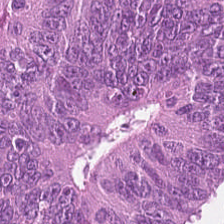H&E.
Predominantly malignant epithelium.
